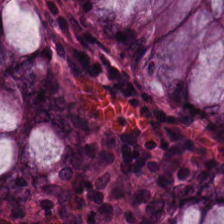20× equivalent magnification. H&E-stained tissue section — Tissue = normal colonic mucosa.
